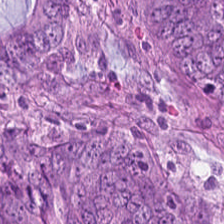Hematoxylin-and-eosin stained section · 0.5 µm per pixel · FFPE tissue section. Classification — adenocarcinoma.
